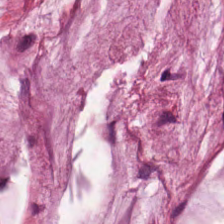H&E stain.
Histology → mucin.
